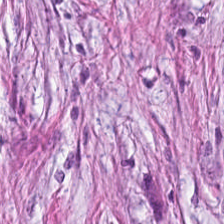Whole-slide-image patch; H&E-stained tissue section. This patch shows cancer-associated stroma.
